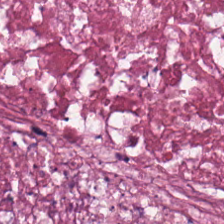H&E — The tissue is necrotic debris.
